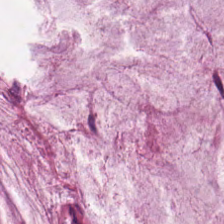20× equivalent magnification · H&E-stained tissue section · 224×224 px patch. {"tissue_type": "extracellular mucin"}
